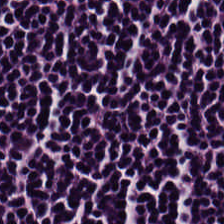Stain: H&E.
Resolution: 0.5 µm/px.
Acquisition: brightfield microscopy.
Predominant tissue: lymphocytes.
